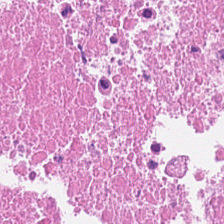Classification = necrotic debris.
